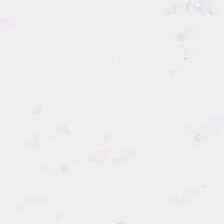0.5 µm/px · hematoxylin and eosin.
Classification: no tissue.
